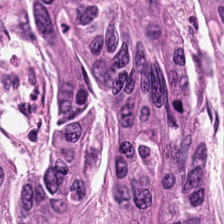H&E — colorectal adenocarcinoma.
